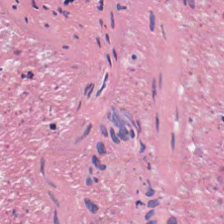H&E — The predominant tissue is cellular debris.
